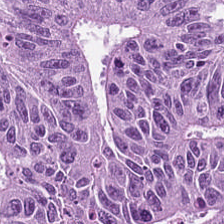Stain: hematoxylin-and-eosin stained section.
Tile size: 224×224 pixel tile.
Tissue: adenocarcinoma.
